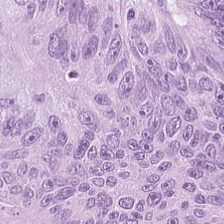Stain: H&E stain.
Resolution: 0.5 µm per pixel.
Classification: malignant epithelium.
